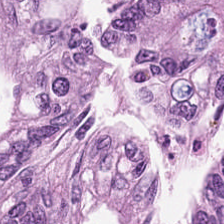Stain: H&E-stained tissue section.
Predominant tissue: malignant epithelium.
